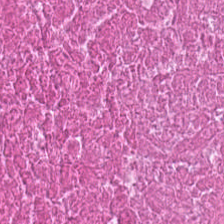Hematoxylin-and-eosin stained section — Predominantly cellular debris.
